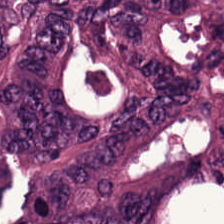Stain: hematoxylin and eosin.
Preparation: FFPE tissue section.
Tissue type: tumor epithelium.
